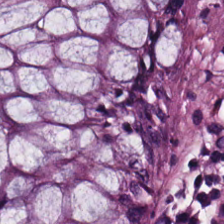H&E.
Impression → normal colonic mucosa.
